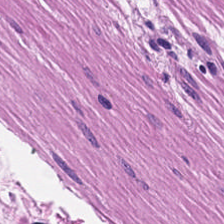H&E-stained tissue section.
Impression → smooth muscle.
